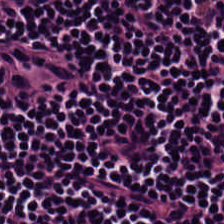Hematoxylin-and-eosin stained section — Predominant tissue: lymphoid infiltrate.
